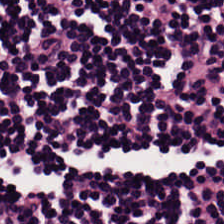Hematoxylin-and-eosin section: lymphocyte aggregate.
